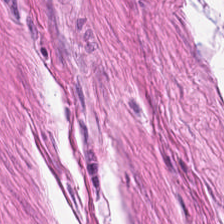Hematoxylin-and-eosin stained section · FFPE tissue section — Muscularis.
